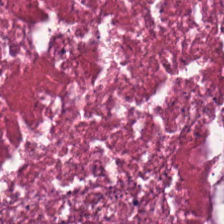Hematoxylin-and-eosin stained section. Predominantly cellular debris.
